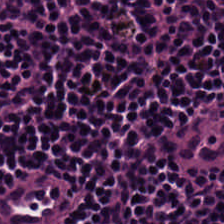Q: What is the predominant tissue type?
A: This is lymphocytic infiltrate.
